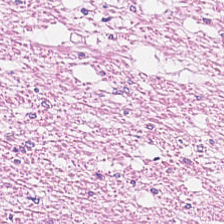H&E stain · 224×224 px patch — Predominantly muscularis.
